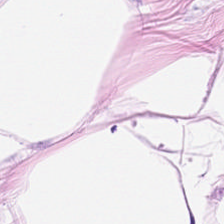Stain: H&E stain.
Tile size: 224×224 pixel tile.
Tissue class: adipose.
